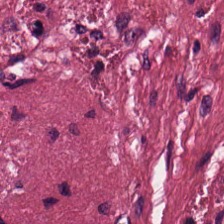This field is desmoplastic stroma.
